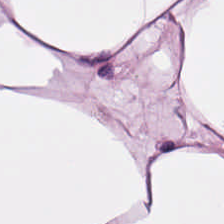20× equivalent magnification; formalin-fixed paraffin-embedded section; H&E — Tissue class = adipose tissue.
